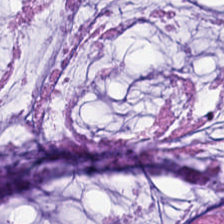Stain: hematoxylin-and-eosin stained section.
Classification: extracellular mucin.
